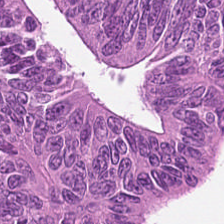H&E-stained tissue section. The tissue here is tumor epithelium.
